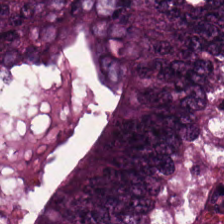0.5 µm/px; hematoxylin and eosin.
The tissue type is colorectal adenocarcinoma.
